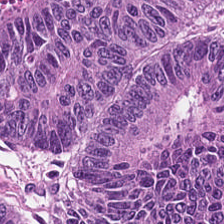Impression — colorectal adenocarcinoma.
